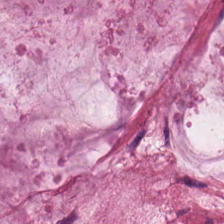Formalin-fixed paraffin-embedded section. H&E — Showing mucin.
